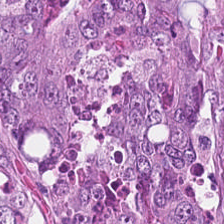Histology — malignant epithelium.
